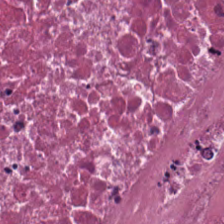H&E-stained tissue section.
The tissue here is cellular debris.
